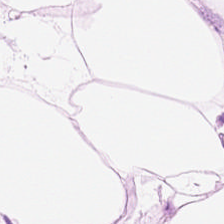H&E — Showing adipose.
